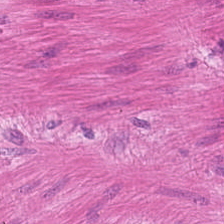WSI patch; H&E; formalin-fixed paraffin-embedded section. Showing smooth-muscle tissue.
